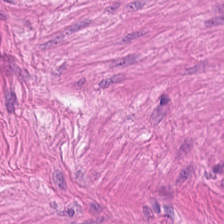H&E stain.
This patch shows muscularis.
